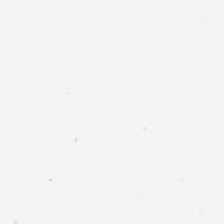Hematoxylin and eosin.
This field is background (no tissue).
